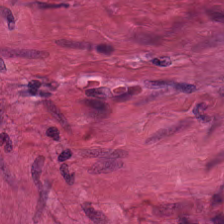H&E-stained tissue section. Showing smooth muscle.
